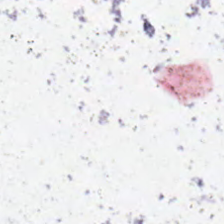Field content — background (no tissue).
